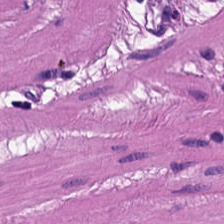Q: What does this patch show?
A: Muscularis.
